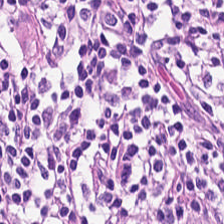WSI patch; hematoxylin-and-eosin stained section — Q: What is shown in this field?
A: The field shows lymphocytes.
